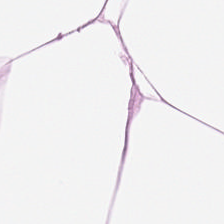The predominant tissue is adipose.
